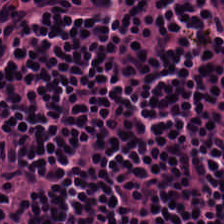H&E stain — Tissue class — lymphocytes.
